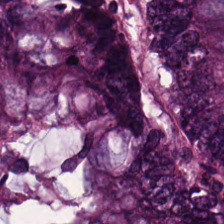FFPE tissue section; hematoxylin-and-eosin stained section. Malignant epithelium.
